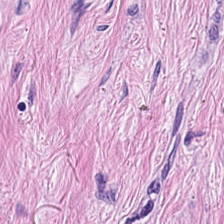H&E — The tissue type is cancer-associated stroma.
